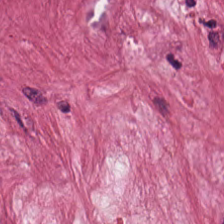This patch shows tumor stroma.
